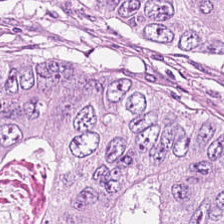H&E stain.
The tissue type is colorectal adenocarcinoma epithelium.
